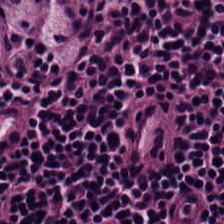H&E.
{"tissue_type": "lymphocytic infiltrate"}
